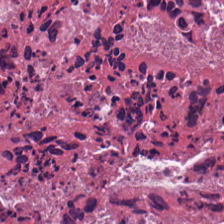H&E stain · formalin-fixed paraffin-embedded section · 0.5 µm per pixel — Predominant tissue = debris.
